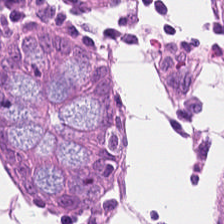Brightfield; H&E. Finding → benign colonic mucosa.
